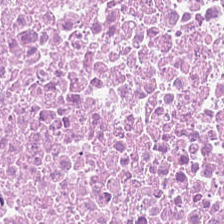H&E-stained tissue section; 0.5 microns per pixel.
Classification = cellular debris.
